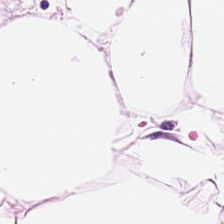Hematoxylin and eosin.
Finding — adipose.
